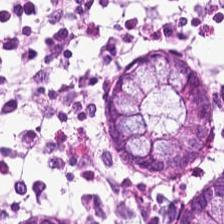H&E stain.
Impression — normal colonic mucosa.
